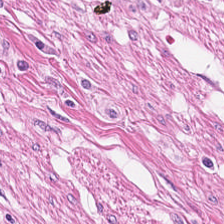Hematoxylin-and-eosin stained section. Finding → smooth muscle.
